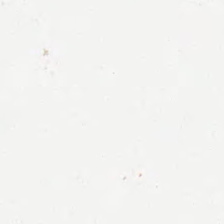H&E-stained tissue section. Background — no tissue in this field.
